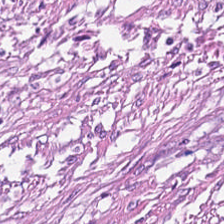Hematoxylin and eosin. Q: What type of tissue is this?
A: It is desmoplastic stroma.
